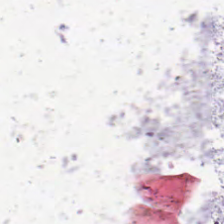Hematoxylin-and-eosin stained section.
Background.
